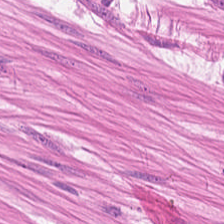H&E-stained section; the field shows muscularis.
